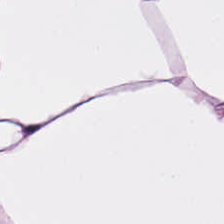Stain: hematoxylin-and-eosin stained section.
Preparation: formalin-fixed paraffin-embedded section.
Acquisition: whole-slide-image patch.
Classification: adipose.
